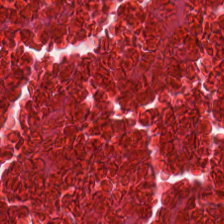H&E-stained tissue section. Finding — cellular debris.
